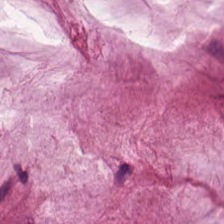Stain: hematoxylin and eosin.
Tissue: mucin.
